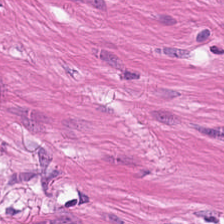Finding — smooth-muscle tissue.
